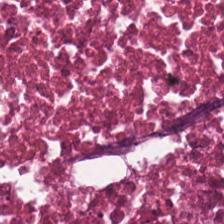Formalin-fixed paraffin-embedded section · hematoxylin and eosin — The tissue here is cellular debris.
